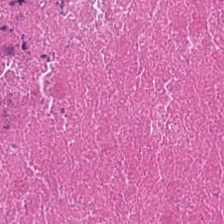H&E. Brightfield microscopy — {"tissue_type": "debris"}
